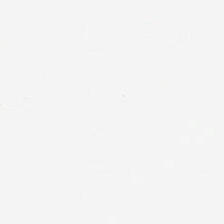Content = no tissue.
